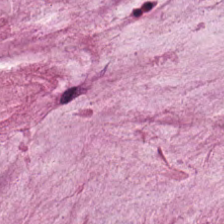Hematoxylin and eosin.
{"tissue_type": "extracellular mucin"}
